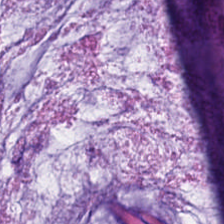H&E-stained tissue section — Predominantly mucin.
